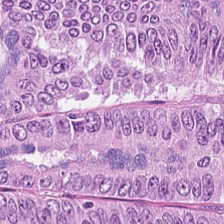Hematoxylin-and-eosin stained section. Tissue class: tumor epithelium.
